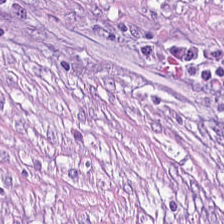Hematoxylin and eosin.
The predominant tissue is tumor stroma.
